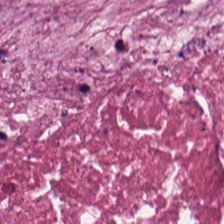WSI patch · 0.5 µm per pixel · H&E.
Finding — debris.
